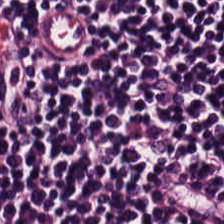H&E — Predominantly lymphocytes.
